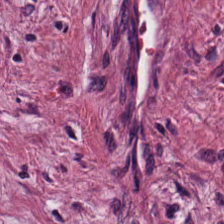H&E stain.
Impression — cancer-associated stroma.
